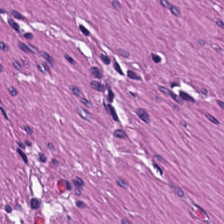H&E stain · brightfield. Q: What tissue is shown?
A: It is smooth-muscle tissue.
